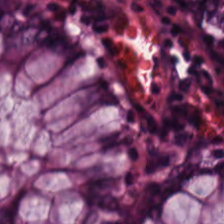Whole-slide-image patch. H&E-stained tissue section. The tissue is non-neoplastic colon mucosa.
